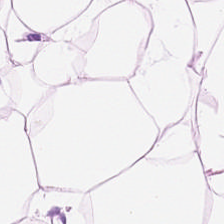H&E. The tissue type is fat tissue.
